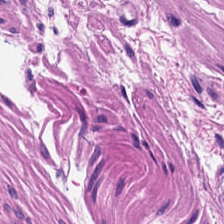H&E stain; WSI patch — This field is smooth muscle.
